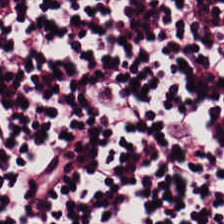H&E stain · 224×224 pixel tile. The tissue here is lymphocytes.
